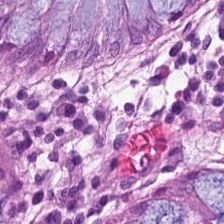Finding — normal colon mucosa.
